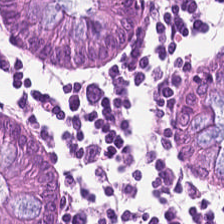H&E stain.
Benign colonic mucosa.
